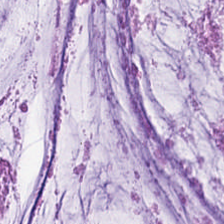Stain: H&E stain.
Resolution: 0.5 µm per pixel.
Predominant tissue: mucus.
